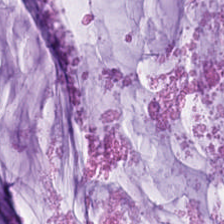Brightfield. Hematoxylin-and-eosin stained section. Formalin-fixed paraffin-embedded section.
The predominant tissue is mucus.
